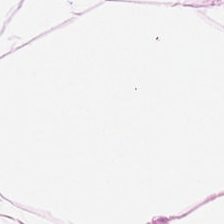Hematoxylin and eosin. The classification is adipose.
